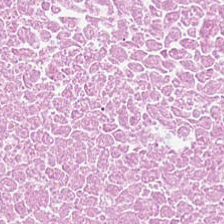Tissue type = cellular debris.
